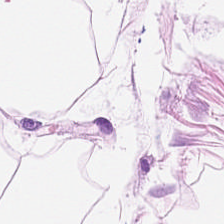{"tissue_type": "adipocytes"}
